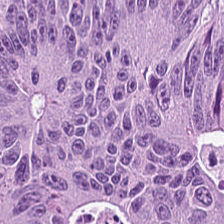Hematoxylin-and-eosin stained section; 224×224 px tile. Showing colorectal adenocarcinoma.
